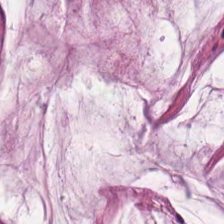H&E. Showing mucin.
